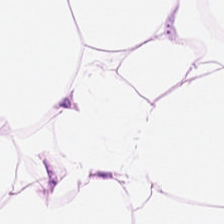Hematoxylin-and-eosin stained section. Predominantly adipose.
